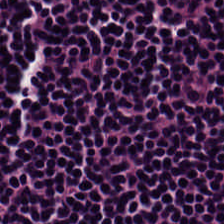Q: What is shown in this field?
A: This is lymphocytic infiltrate.
